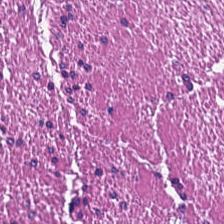Classification: muscularis.
